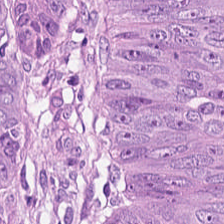FFPE tissue section · WSI patch · H&E-stained tissue section.
Classification = malignant epithelium.
